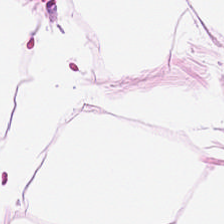Hematoxylin-and-eosin stained section.
This patch shows adipose tissue.
